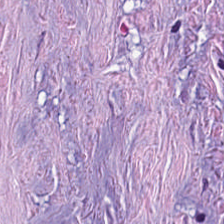H&E-stained tissue section — Q: Classify this patch.
A: The field shows cancer-associated stroma.
